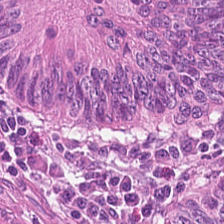The tissue type is adenocarcinoma.
